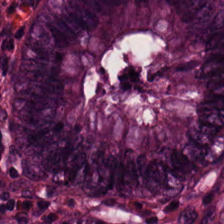Hematoxylin-and-eosin stained section · 224×224 px patch — The tissue is normal colonic mucosa.
